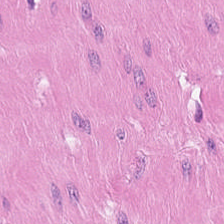FFPE. H&E. Brightfield microscopy. Tissue class: muscularis.
